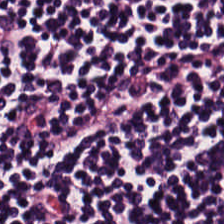FFPE tissue section; H&E-stained tissue section. Showing lymphoid infiltrate.
